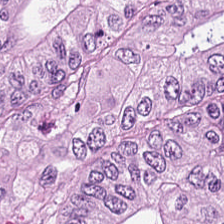H&E stain. WSI patch.
{"tissue_type": "adenocarcinoma"}
